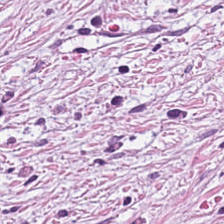Hematoxylin and eosin · 224×224 px patch. This field is cancer-associated stroma.
